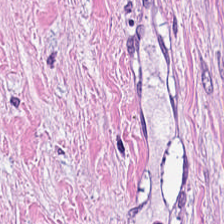H&E stain — The classification is tumor stroma.
